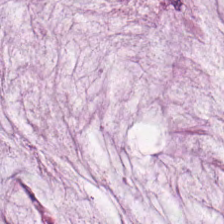Hematoxylin-and-eosin stained section — The predominant tissue is mucin.
